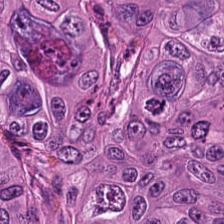224×224 px patch · H&E-stained tissue section. The tissue here is malignant epithelium.
